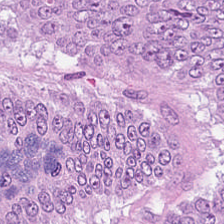H&E. The tissue here is colorectal adenocarcinoma epithelium.
